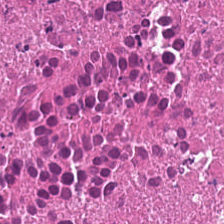FFPE · hematoxylin and eosin. Impression — cellular debris.
